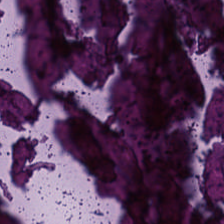The predominant tissue is necrotic debris.
